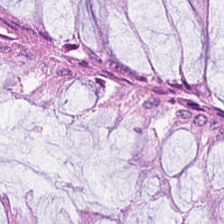H&E-stained tissue section. 224×224 px tile. Formalin-fixed paraffin-embedded section — Finding — non-neoplastic colon mucosa.
